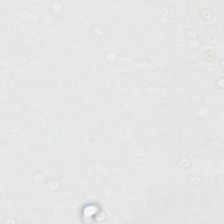Stain: H&E stain.
Content: background (no tissue).
